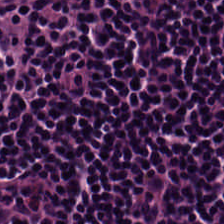224×224 pixel tile. Hematoxylin-and-eosin stained section. Whole-slide-image patch.
The tissue here is lymphoid infiltrate.
